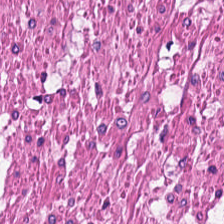H&E — Tissue = muscularis.
